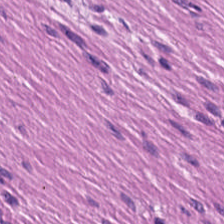H&E patch showing smooth muscle.
